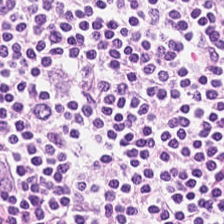H&E; formalin-fixed paraffin-embedded section; 224×224 px tile — Tissue type = lymphocytic infiltrate.
